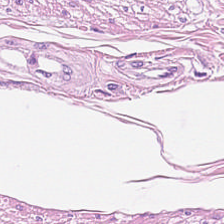H&E stain.
Classification = smooth muscle.
